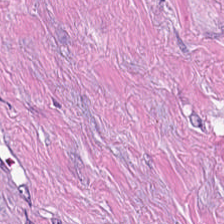Brightfield. 224×224 px patch. Hematoxylin and eosin — Predominantly cancer-associated stroma.
